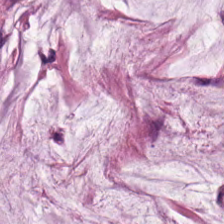Whole-slide-image patch. H&E-stained tissue section. 0.5 µm/px. The predominant tissue is mucin.
